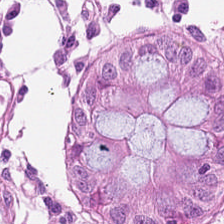224×224 px tile. H&E-stained tissue section — Predominant tissue: normal colon mucosa.
